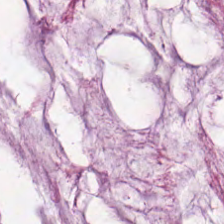Hematoxylin and eosin; FFPE — The tissue is extracellular mucin.
